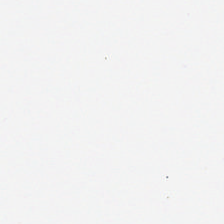Stain: hematoxylin-and-eosin stained section.
Field content: background.
